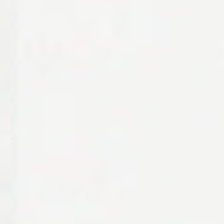H&E stain — Impression — empty background.
